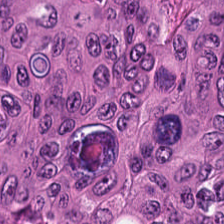Stain: hematoxylin-and-eosin stained section.
Tissue type: colorectal adenocarcinoma.
